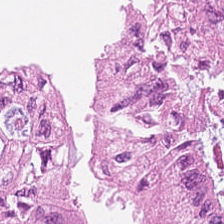H&E stain.
Predominantly adenocarcinoma.
